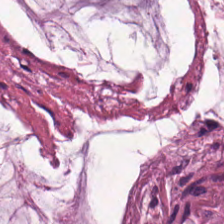Hematoxylin and eosin · FFPE — The tissue here is extracellular mucin.
